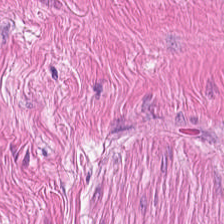Stain: hematoxylin-and-eosin stained section.
Classification: smooth-muscle tissue.
